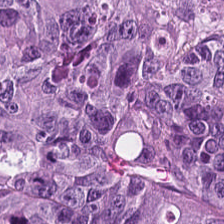H&E-stained tissue section. Tissue class: malignant epithelium.
